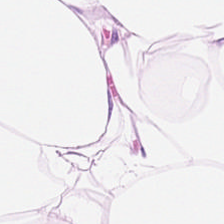H&E — adipose tissue.
